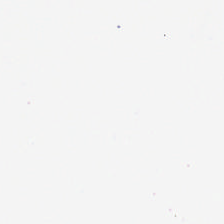Hematoxylin and eosin.
{"content": "background (no tissue)"}
